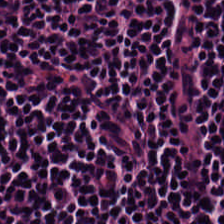224×224 px tile; H&E; FFPE tissue section — The tissue here is lymphocytes.
